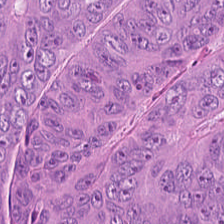Stain: H&E.
Classification: malignant epithelium.
